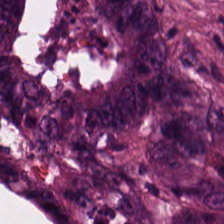Histology — malignant epithelium.
